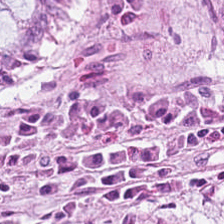Hematoxylin-and-eosin stained section. Q: What does this patch show?
A: It is non-neoplastic colon mucosa.
